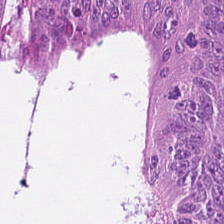Stain: H&E.
Tissue type: malignant epithelium.
